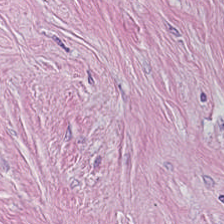224×224 px tile · H&E — Predominant tissue: tumor-associated stroma.
